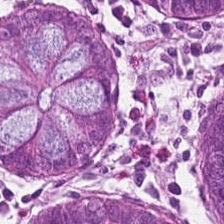Hematoxylin-and-eosin stained section.
Classification — normal colonic mucosa.
